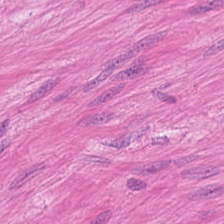H&E-stained tissue section. {"tissue_type": "smooth muscle"}
